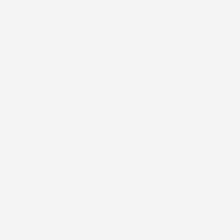The content is empty background.
